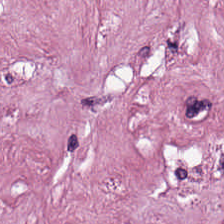H&E — Impression → cancer-associated stroma.
